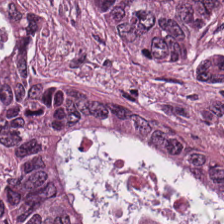FFPE tissue section. H&E — Q: What does this patch show?
A: The field shows colorectal adenocarcinoma.
